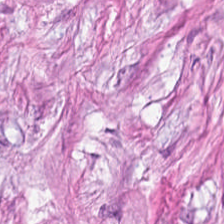H&E-stained tissue section. Predominantly cancer-associated stroma.
